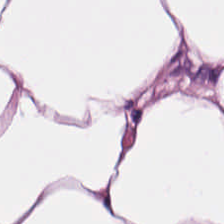0.5 µm/px · H&E-stained tissue section.
This field is adipocytes.
